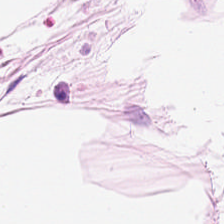H&E stain. Tissue class = adipose.
